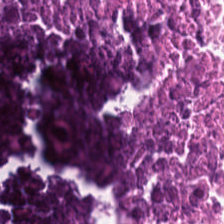Hematoxylin-and-eosin stained section · FFPE tissue section.
Histology → debris.
